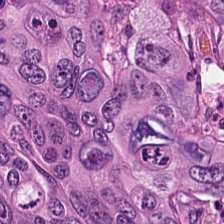Hematoxylin and eosin. Classification — adenocarcinoma.
